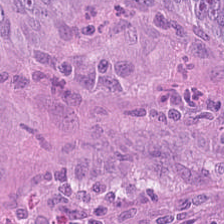Finding → malignant epithelium.
